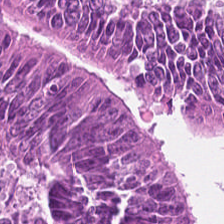0.5 microns per pixel · H&E-stained tissue section.
{"tissue_type": "malignant epithelium"}
